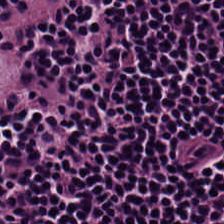Hematoxylin and eosin — Lymphocytic infiltrate.
